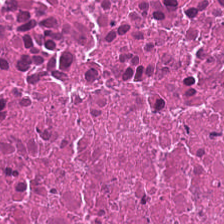Hematoxylin-and-eosin stained section · FFPE.
The predominant tissue is cellular debris.
